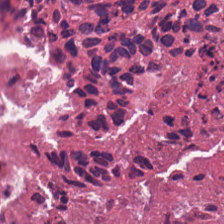Tissue: debris.
